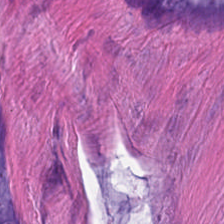Hematoxylin and eosin; 224×224 px tile. Finding — extracellular mucin.
